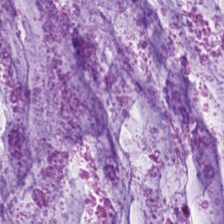Formalin-fixed paraffin-embedded section; hematoxylin-and-eosin stained section. Classification = mucin.
